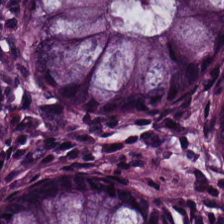Q: Classify this patch.
A: The field shows benign colonic mucosa.
